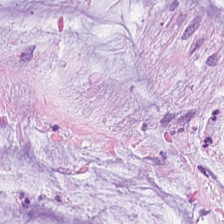H&E-stained tissue section · FFPE tissue section.
Showing extracellular mucin.
